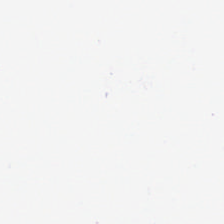H&E-stained tissue section.
Empty field — empty background.
